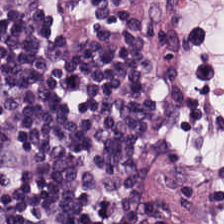Formalin-fixed paraffin-embedded section. Whole-slide-image patch. H&E. {"tissue_type": "lymphocytic infiltrate"}
